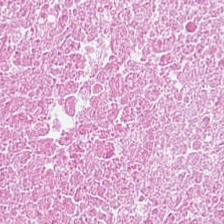Classification: debris.
